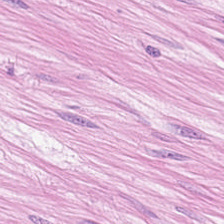H&E stain — Smooth-muscle tissue.
